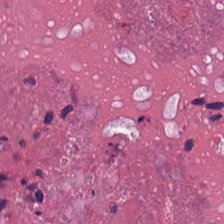0.5 µm/px. FFPE. H&E stain.
Q: What is shown here?
A: The field shows debris.
